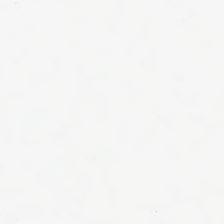Hematoxylin-and-eosin stained section; 224×224 px patch.
No tissue present; background only.
